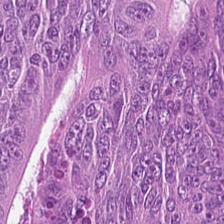Stain: H&E stain.
Predominant tissue: colorectal adenocarcinoma epithelium.
